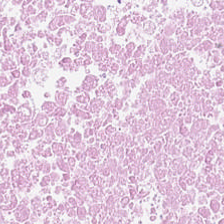H&E stain. Predominant tissue: debris.
